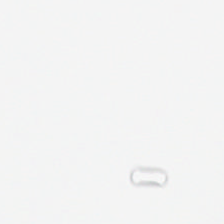H&E stain · formalin-fixed paraffin-embedded section. Finding → empty background.
